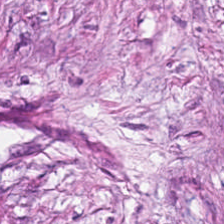Brightfield · 0.5 microns per pixel · H&E. The tissue type is tumor-associated stroma.
